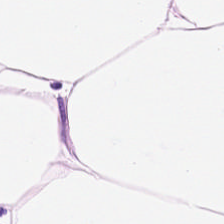H&E-stained tissue section. Adipose tissue.
